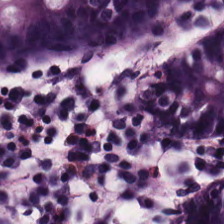The tissue here is benign colonic mucosa.
